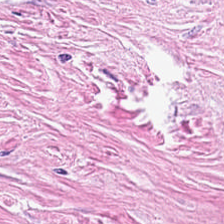Histology → desmoplastic stroma.
